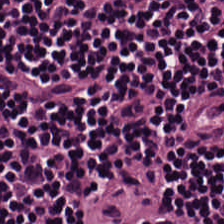H&E-stained tissue section — Showing lymphocytic infiltrate.
